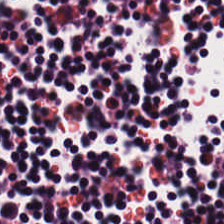Hematoxylin-and-eosin stained section — Q: What tissue type is shown here?
A: Lymphocytic infiltrate.
